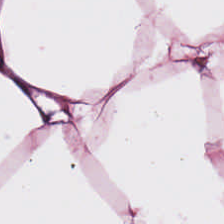Stain: H&E-stained tissue section.
Acquisition: whole-slide-image patch.
Tissue: adipose.
